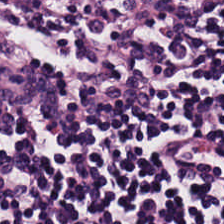Hematoxylin and eosin; FFPE tissue section. Finding → lymphocyte aggregate.
